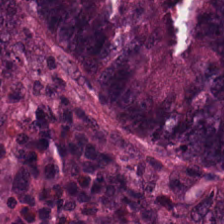Tissue class — tumor epithelium.
